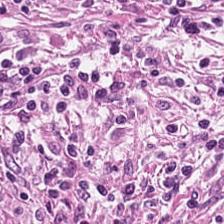H&E-stained tissue section.
Showing tumor-associated stroma.
